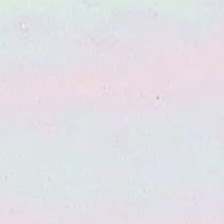H&E-stained tissue section · 224×224 pixel tile.
Classification — background.
